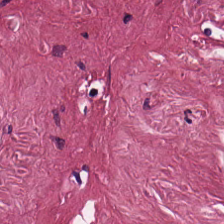Hematoxylin-and-eosin stained section. Q: What does this patch show?
A: This is tumor stroma.
